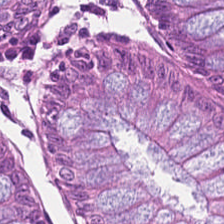20× equivalent magnification · hematoxylin and eosin. Q: Classify this patch.
A: It is non-neoplastic colon mucosa.
